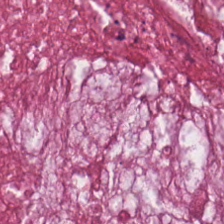Whole-slide-image patch. Hematoxylin-and-eosin stained section. The predominant tissue is mucin.
